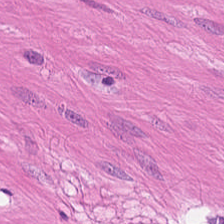WSI patch; H&E-stained tissue section; FFPE tissue section.
Histology → muscularis.
